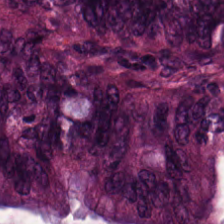H&E stain; brightfield microscopy. Showing malignant epithelium.
